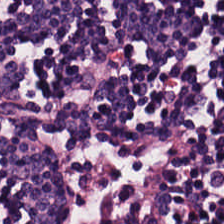20× equivalent magnification. Hematoxylin and eosin.
{"tissue_type": "lymphoid infiltrate"}
